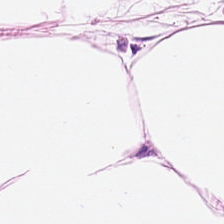Hematoxylin-and-eosin stained section.
Predominant tissue: fat tissue.
